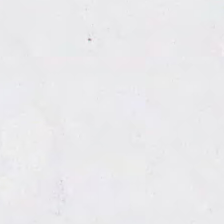Hematoxylin and eosin — This field is background (no tissue).
